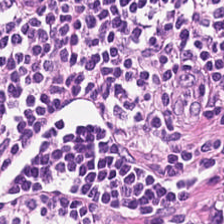Hematoxylin-and-eosin stained section.
This field is lymphocyte aggregate.
